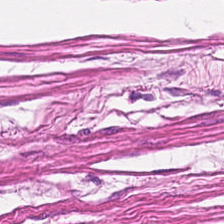FFPE; H&E-stained tissue section.
Tissue: smooth-muscle tissue.
